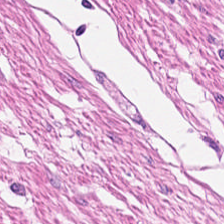Stain: H&E.
Tissue: muscularis.
